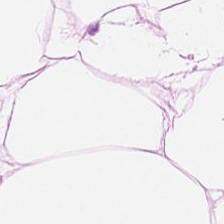Finding — adipose.
